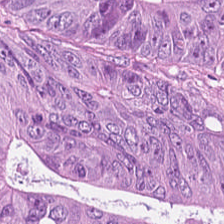Brightfield microscopy · H&E stain.
Tumor epithelium.
